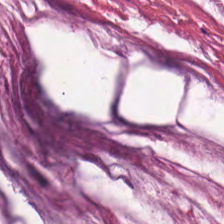H&E-stained tissue section; FFPE tissue section. Classification = mucin.
